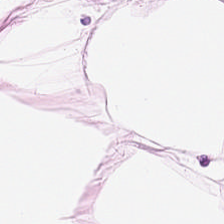Hematoxylin-and-eosin stained section.
Tissue type = adipocytes.
